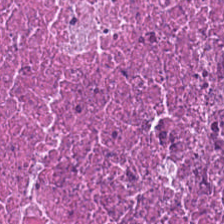H&E-stained tissue section · 224×224 px tile · brightfield.
Q: What does this patch show?
A: This is cellular debris.
